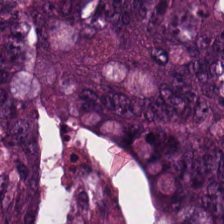H&E stain · 224×224 px patch · FFPE.
Tissue type = tumor epithelium.
